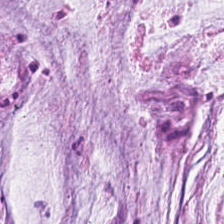Hematoxylin and eosin; whole-slide-image patch — {"tissue_type": "extracellular mucin"}
